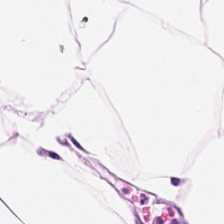Finding — adipose tissue.
